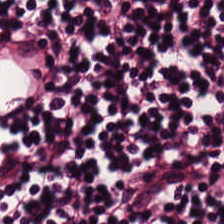Stain: H&E.
Tissue type: lymphocytes.
